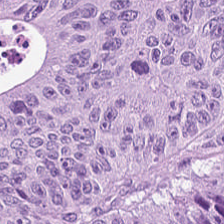Stain: hematoxylin-and-eosin stained section.
Preparation: FFPE tissue section.
Predominant tissue: colorectal adenocarcinoma.
